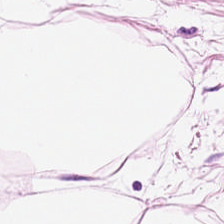Hematoxylin-and-eosin stained section.
Showing fat tissue.
